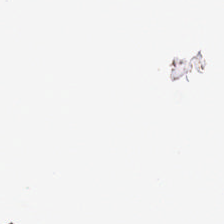Stain: H&E-stained tissue section.
Acquisition: brightfield microscopy.
Classification: background.
